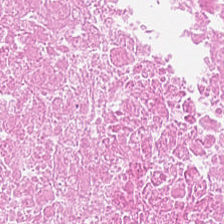Brightfield microscopy; 224×224 px tile; H&E.
Q: What tissue is shown?
A: This is cellular debris.
